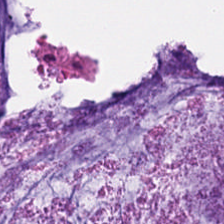H&E stain.
Tissue class — mucus.
